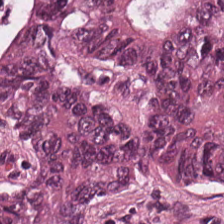Hematoxylin-and-eosin section: tumor epithelium.
